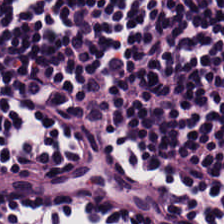Finding → lymphocyte aggregate.
